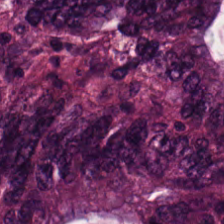H&E. Tissue: colorectal adenocarcinoma.
